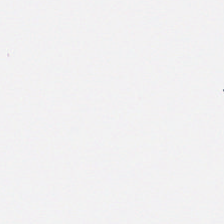H&E-stained tissue section. Q: Classify this patch.
A: It is background.
